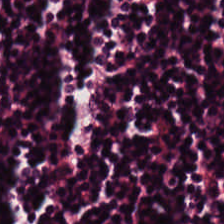Hematoxylin-and-eosin stained section.
Predominantly lymphocyte aggregate.
